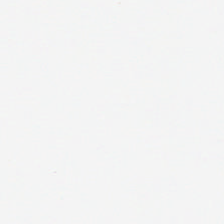Hematoxylin and eosin · WSI patch · 224×224 px patch — No tissue present; background only.
